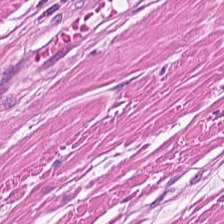H&E. 224×224 px patch. Predominantly smooth muscle.
